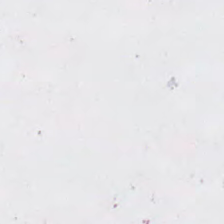Content — background.
